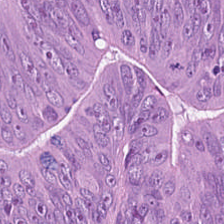Tissue class — colorectal adenocarcinoma.
